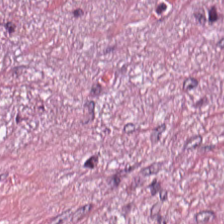Hematoxylin-and-eosin stained section. The tissue here is desmoplastic stroma.
